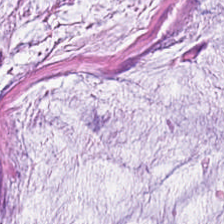Stain: hematoxylin-and-eosin stained section.
Tissue class: extracellular mucin.
